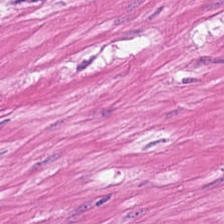Hematoxylin-and-eosin stained section; 0.5 µm/px.
Smooth muscle.
